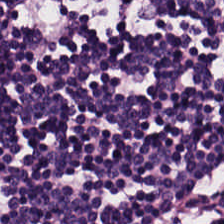Hematoxylin and eosin. Brightfield microscopy — Tissue type — lymphocyte aggregate.
